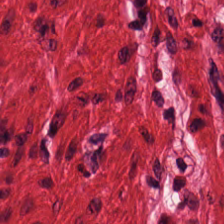{"tissue_type": "smooth-muscle tissue"}
